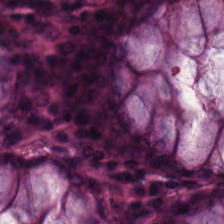The tissue class is benign colonic mucosa.
